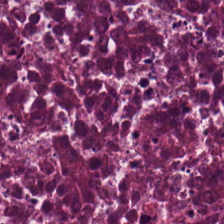224×224 px patch; FFPE tissue section; hematoxylin-and-eosin stained section — Tissue — necrotic debris.
